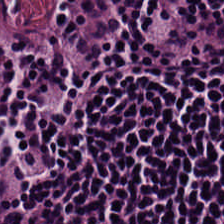Hematoxylin and eosin · FFPE tissue section — Impression → lymphocyte aggregate.
